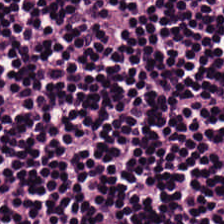0.5 µm per pixel. Hematoxylin and eosin. Lymphocyte aggregate.
